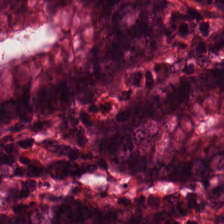The tissue class is benign colonic mucosa.
